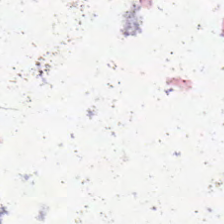WSI patch. H&E-stained tissue section — Q: What does this patch show?
A: This is no tissue.
